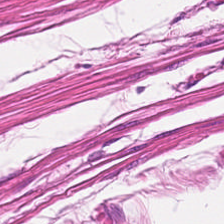H&E-stained tissue section. Tissue type — smooth muscle.
